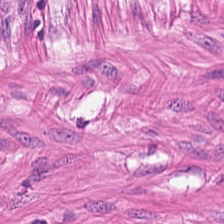Hematoxylin-and-eosin stained section; FFPE tissue section.
Q: What is shown here?
A: It is muscularis.
